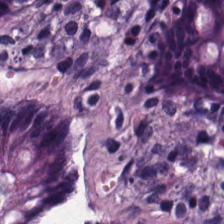0.5 µm per pixel; H&E stain.
Predominant tissue: benign colonic mucosa.
